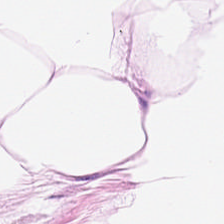224×224 pixel tile; hematoxylin and eosin. Showing adipocytes.
